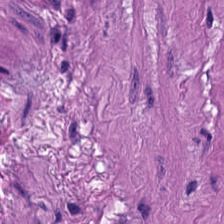H&E; FFPE.
The predominant tissue is smooth muscle.
